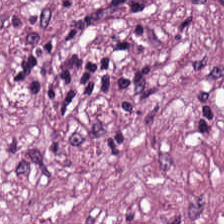Hematoxylin and eosin. This patch shows cancer-associated stroma.
